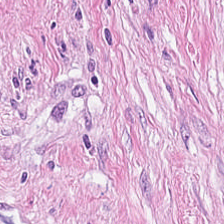Hematoxylin-and-eosin stained section — Q: Identify the tissue.
A: It is tumor-associated stroma.
